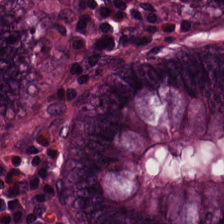This patch shows normal colonic mucosa.
